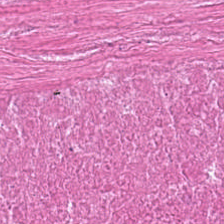Hematoxylin and eosin.
This patch shows cellular debris.
